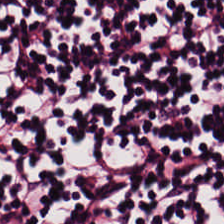Hematoxylin and eosin · formalin-fixed paraffin-embedded section.
The tissue here is lymphoid infiltrate.
